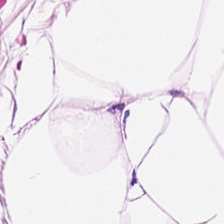Hematoxylin and eosin — Classification: adipocytes.
